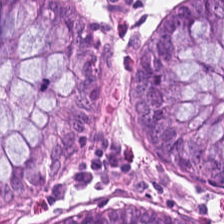Q: What tissue is shown?
A: The field shows normal colon mucosa.
